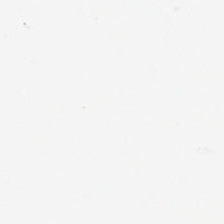Stain: H&E-stained tissue section.
Preparation: FFPE.
Field content: no tissue.
